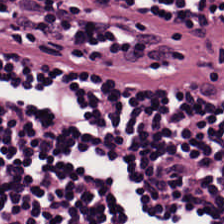224×224 pixel tile. Hematoxylin and eosin. Lymphocytic infiltrate.
